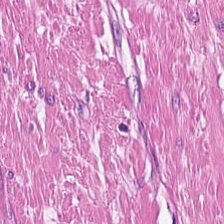H&E — smooth-muscle tissue.
